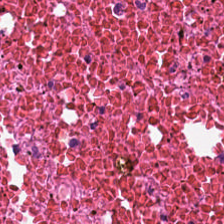20× equivalent magnification. H&E stain. Whole-slide-image patch.
The tissue here is cellular debris.
